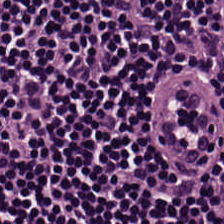H&E — lymphocytes.
